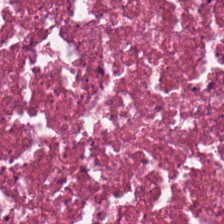H&E-stained tissue section — Predominant tissue: necrotic debris.
